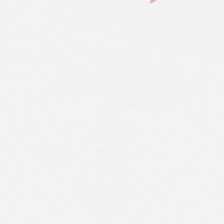Hematoxylin and eosin. No tissue present; background only.
